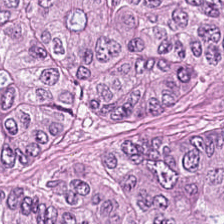Tissue — colorectal adenocarcinoma epithelium.
